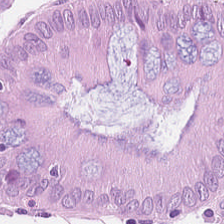224×224 pixel tile · hematoxylin and eosin. Benign colonic mucosa.
